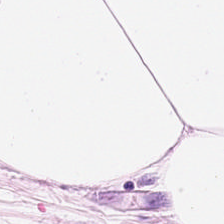Stain: H&E-stained tissue section.
Tissue class: fat tissue.
